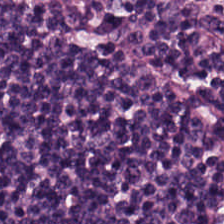FFPE tissue section. H&E — The tissue here is lymphocytes.
